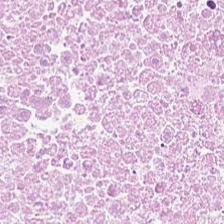Brightfield. H&E. Histology — necrotic debris.
